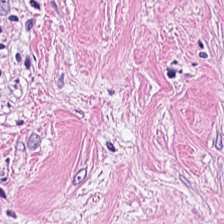H&E-stained tissue section. Brightfield. 0.5 microns per pixel. Q: Classify this patch.
A: This is tumor stroma.
